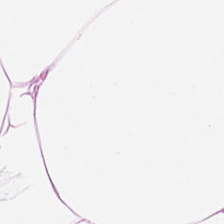H&E-stained tissue section.
This field is adipose.
